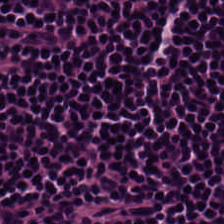H&E; brightfield — Q: Classify this patch.
A: The field shows lymphocytes.
